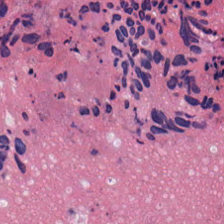H&E-stained tissue section showing necrotic debris.
